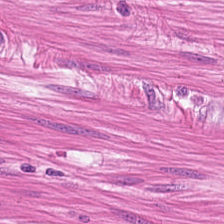H&E · 224×224 pixel tile. Showing smooth-muscle tissue.
